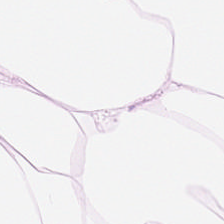0.5 µm per pixel; H&E stain. Adipose tissue.
